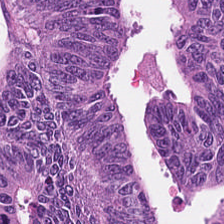Hematoxylin and eosin. This field is adenocarcinoma.
